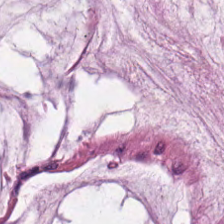0.5 µm per pixel; hematoxylin and eosin.
Finding — mucin.
